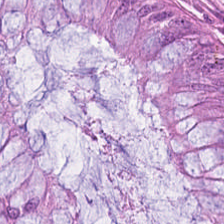Q: Identify the tissue.
A: It is normal colonic mucosa.
